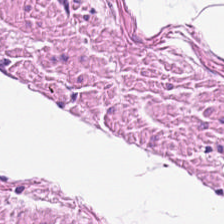This field is muscularis.
